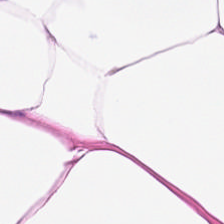H&E-stained tissue section. The tissue class is adipose tissue.
